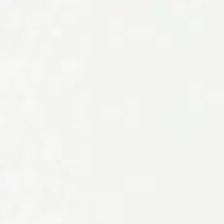0.5 µm/px; H&E. Field content: no tissue.
